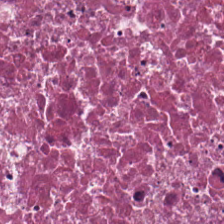FFPE tissue section · H&E-stained tissue section.
The predominant tissue is necrotic debris.
